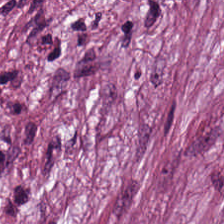Showing cancer-associated stroma.
